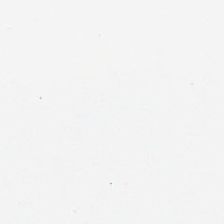FFPE tissue section · hematoxylin-and-eosin stained section. {"content": "no tissue"}
